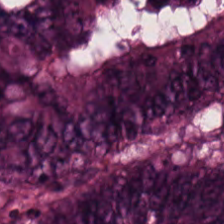Stain: H&E-stained tissue section.
Resolution: 0.5 microns per pixel.
Tissue: colorectal adenocarcinoma epithelium.
